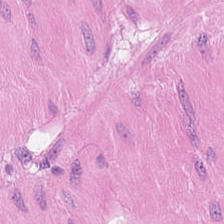H&E — Q: Classify this patch.
A: Smooth-muscle tissue.
